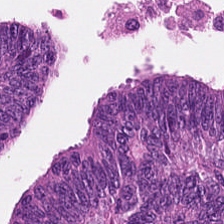Hematoxylin-and-eosin stained section — Predominant tissue — tumor epithelium.
